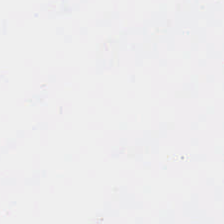Q: What does this patch show?
A: It is background (no tissue).
